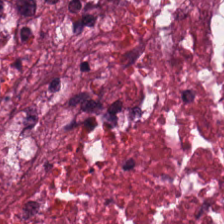Stain: H&E.
Classification: necrotic debris.
